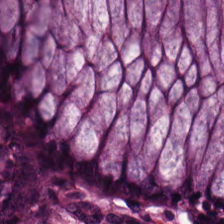0.5 µm per pixel · FFPE tissue section · H&E.
This patch shows normal colon mucosa.
